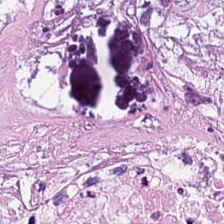Hematoxylin-and-eosin stained section — This patch shows necrotic debris.
